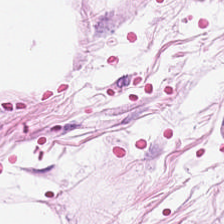Hematoxylin and eosin. This field is fat tissue.
